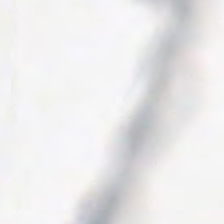Q: What is shown here?
A: This is background (no tissue).
